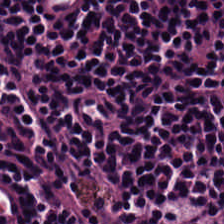The predominant tissue is lymphoid infiltrate.
